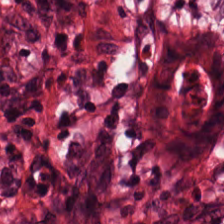H&E stain.
Tumor stroma.
